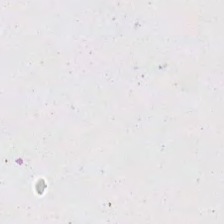H&E. No tissue present; background only.
